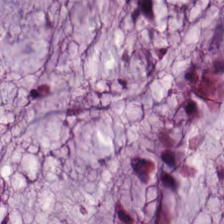Hematoxylin and eosin. Formalin-fixed paraffin-embedded section — Q: What type of tissue is this?
A: The field shows extracellular mucin.
